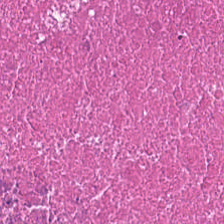Stain: H&E.
Classification: debris.
